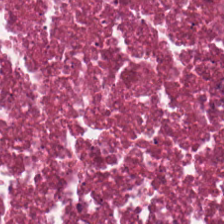Formalin-fixed paraffin-embedded section; hematoxylin and eosin.
{"tissue_type": "debris"}
